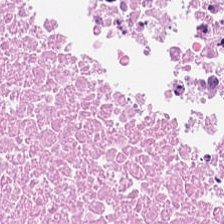The predominant tissue is debris.
